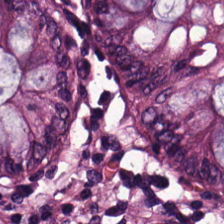Stain: H&E-stained tissue section.
Preparation: FFPE.
Tile size: 224×224 pixel tile.
Tissue: non-neoplastic colon mucosa.
